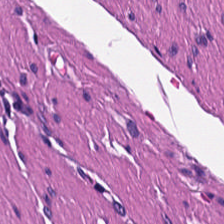224×224 pixel tile; H&E stain; brightfield microscopy.
The tissue type is muscularis.
